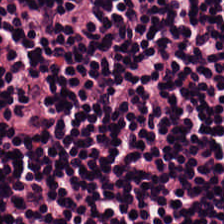Stain: H&E.
Preparation: formalin-fixed paraffin-embedded section.
Tissue type: lymphocytic infiltrate.
